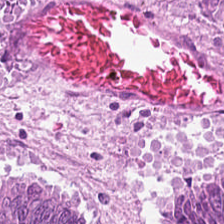224×224 pixel tile. H&E stain. 0.5 µm/px — Impression — tumor epithelium.
